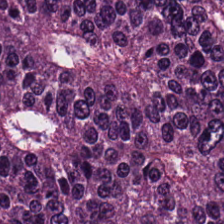H&E. Showing colorectal adenocarcinoma epithelium.
